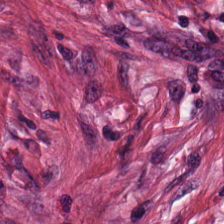0.5 µm per pixel. H&E stain.
Predominantly tumor stroma.
